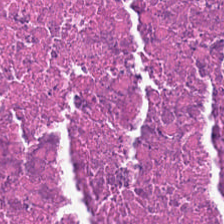Whole-slide-image patch; H&E; 224×224 pixel tile.
Predominantly necrotic debris.
